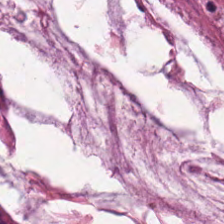H&E. Brightfield microscopy.
This field is mucus.
